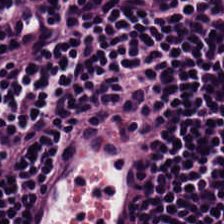Brightfield; hematoxylin-and-eosin stained section. The predominant tissue is lymphoid infiltrate.
